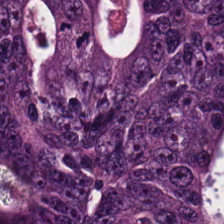Formalin-fixed paraffin-embedded section · H&E-stained tissue section — Predominant tissue — adenocarcinoma.
